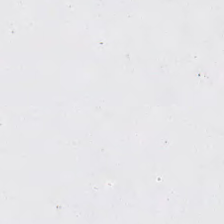H&E — Impression — background.
